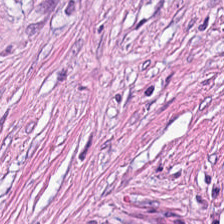H&E stain — Q: What tissue is shown?
A: This is desmoplastic stroma.
